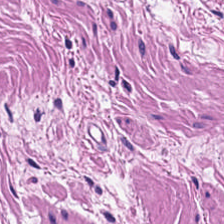Hematoxylin and eosin. Classification = smooth muscle.
